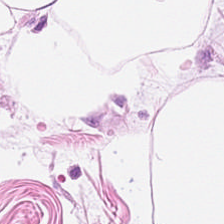H&E stain. This patch shows adipose tissue.
